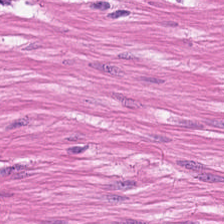0.5 microns per pixel · hematoxylin and eosin · FFPE tissue section — Smooth-muscle tissue.
